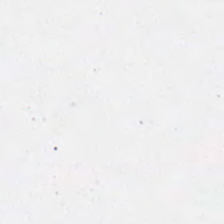Hematoxylin-and-eosin stained section. Q: What is shown in this field?
A: The field shows no tissue.
